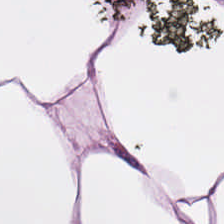H&E-stained tissue section · formalin-fixed paraffin-embedded section · brightfield microscopy.
This patch shows adipocytes.
